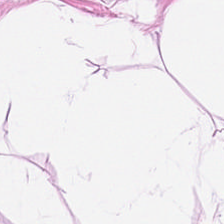H&E; brightfield; 0.5 µm per pixel. The tissue here is adipose.
